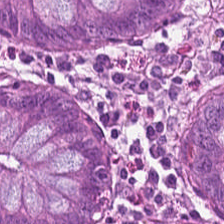Hematoxylin-and-eosin stained section · 224×224 px tile.
The tissue here is normal colon mucosa.
